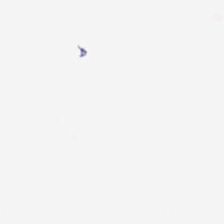This patch shows empty background.
